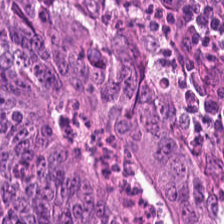H&E-stained tissue section — Showing malignant epithelium.
